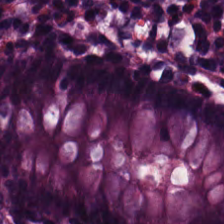Hematoxylin and eosin · 224×224 px tile. Q: What tissue type is shown here?
A: It is non-neoplastic colon mucosa.
